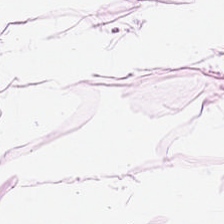Hematoxylin-and-eosin stained section · 224×224 px patch · FFPE tissue section. Q: What tissue is shown?
A: It is fat tissue.
